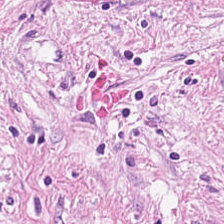0.5 µm/px; FFPE; hematoxylin-and-eosin stained section.
Q: What is the predominant tissue type?
A: The field shows tumor-associated stroma.
